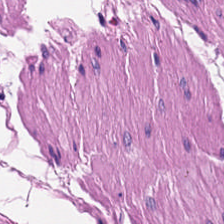The predominant tissue is muscularis.
